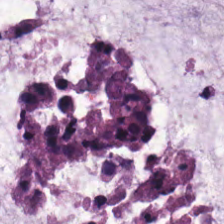Stain: H&E-stained tissue section.
Tissue: extracellular mucin.
